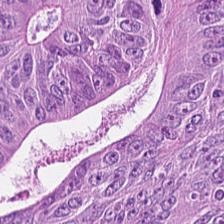Hematoxylin and eosin — The predominant tissue is tumor epithelium.
